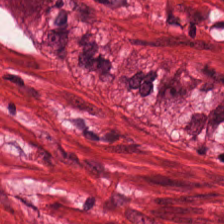Stain: H&E.
Tissue: smooth-muscle tissue.
